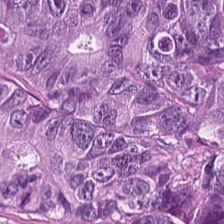H&E stain.
{"tissue_type": "tumor epithelium"}
